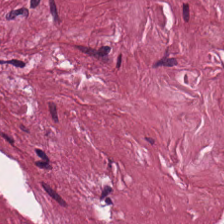Q: Classify this patch.
A: It is desmoplastic stroma.
